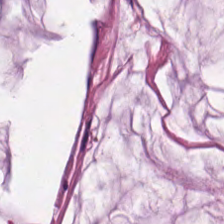H&E.
{"tissue_type": "mucus"}
